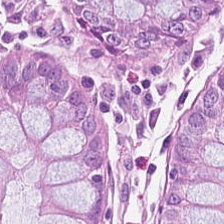Hematoxylin-and-eosin stained section. Tissue = benign colonic mucosa.
